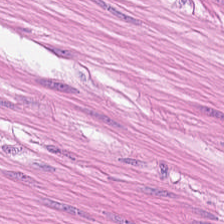Tissue type: muscularis.
